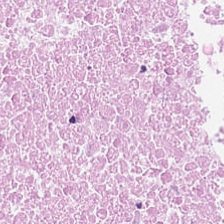224×224 px patch. H&E-stained tissue section. FFPE — Q: Identify the tissue.
A: It is debris.
